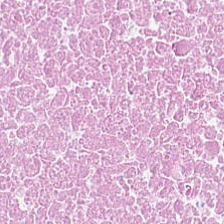Brightfield; H&E stain. Q: What tissue is shown?
A: It is debris.
